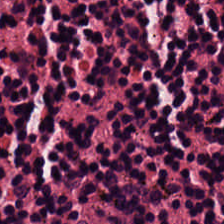H&E.
Tissue type — lymphocytic infiltrate.
